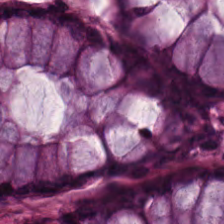Stain: H&E-stained tissue section.
Tissue class: normal colonic mucosa.
